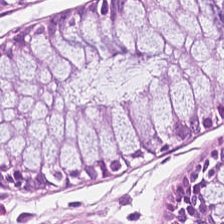Hematoxylin and eosin. The tissue here is non-neoplastic colon mucosa.
